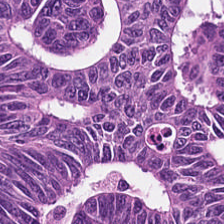Formalin-fixed paraffin-embedded section; H&E.
This field is colorectal adenocarcinoma epithelium.
